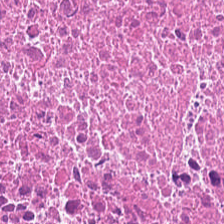Stain: hematoxylin and eosin.
Tissue type: necrotic debris.
